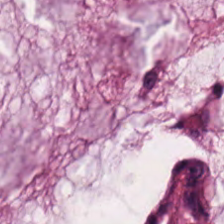H&E stain — Tissue class: mucus.
